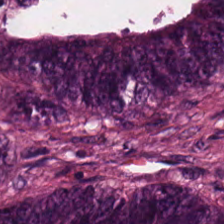Hematoxylin and eosin · 224×224 px tile · WSI patch. This field is tumor epithelium.
